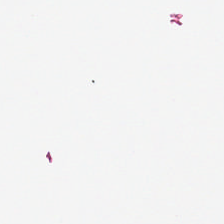H&E-stained tissue section — No tissue present; background only.
